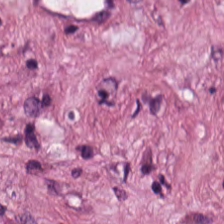FFPE tissue section · 224×224 px patch · H&E — Tissue type — cancer-associated stroma.
